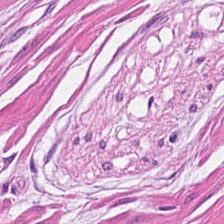Hematoxylin-and-eosin stained section.
Tissue class = smooth muscle.
